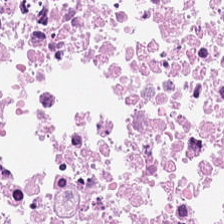H&E. 0.5 microns per pixel — The tissue class is debris.
